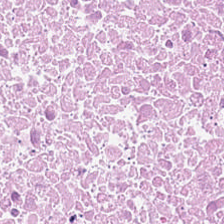Brightfield microscopy · hematoxylin and eosin · 20× equivalent magnification — Q: What tissue type is shown here?
A: It is debris.
